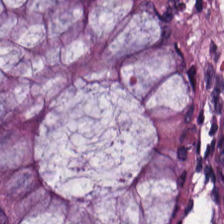Hematoxylin and eosin — Tissue type — normal colonic mucosa.
